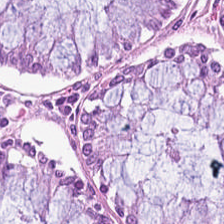Predominantly normal colonic mucosa.
